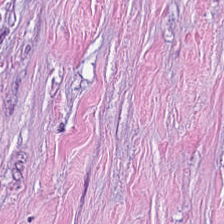Hematoxylin-and-eosin stained section — The tissue type is cancer-associated stroma.
